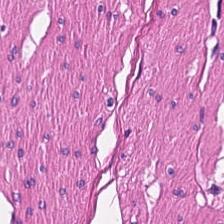H&E-stained tissue section · 0.5 microns per pixel. Classification: smooth-muscle tissue.
